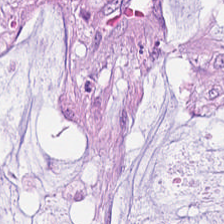Q: What is the predominant tissue type?
A: This is mucin.
